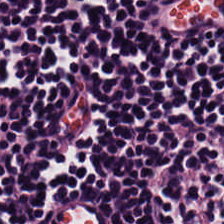The tissue class is lymphocyte aggregate.
